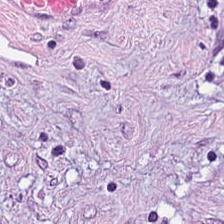Hematoxylin and eosin; 224×224 pixel tile.
This field is tumor-associated stroma.
